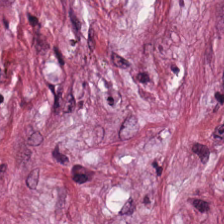Hematoxylin and eosin.
The classification is cancer-associated stroma.
